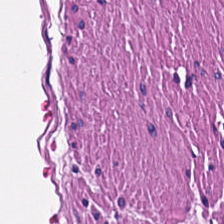Q: What type of tissue is this?
A: The field shows smooth-muscle tissue.
